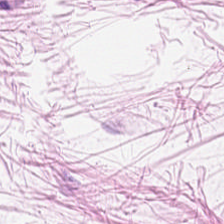H&E. 0.5 µm/px — Fat tissue.
